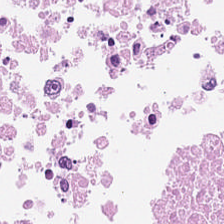20× equivalent magnification. FFPE tissue section. Hematoxylin and eosin. Classification — necrotic debris.
